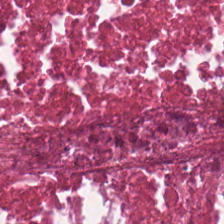Hematoxylin and eosin — Predominant tissue: necrotic debris.
